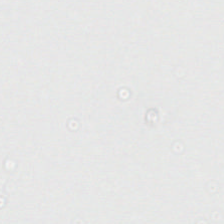0.5 microns per pixel; H&E stain.
Content: background.
